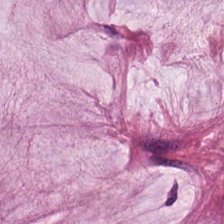H&E — mucus.
